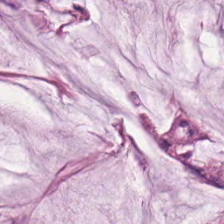Whole-slide-image patch · H&E stain · 224×224 px tile — Histology → extracellular mucin.
